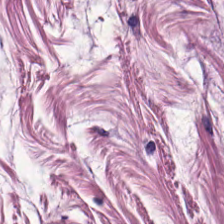Formalin-fixed paraffin-embedded section · H&E stain — Tissue type: muscularis.
